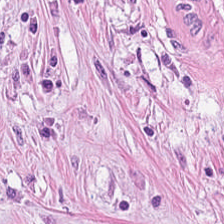{"tissue_type": "tumor-associated stroma"}
